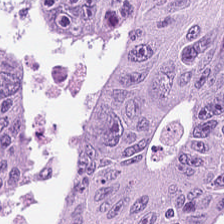Stain: H&E stain.
Tissue type: colorectal adenocarcinoma epithelium.
